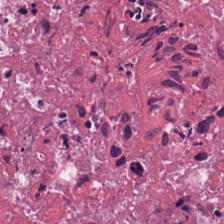Finding — necrotic debris.
